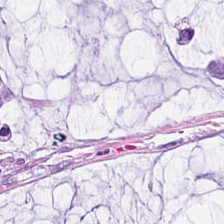Q: What is the predominant tissue type?
A: It is mucus.
